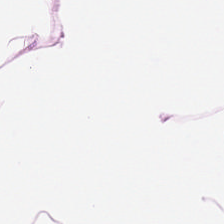224×224 px patch. H&E stain.
Tissue type: adipose tissue.
